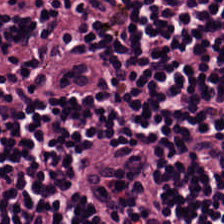Tissue = lymphocyte aggregate.
